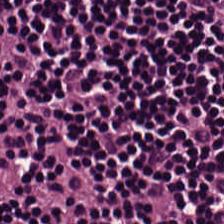Formalin-fixed paraffin-embedded section. H&E. Predominantly lymphocytic infiltrate.
